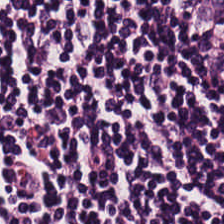Stain: H&E stain.
Tissue: lymphoid infiltrate.
